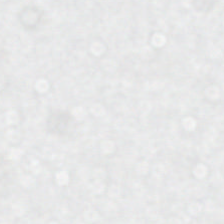Hematoxylin-and-eosin stained section — No tissue present; background only.
